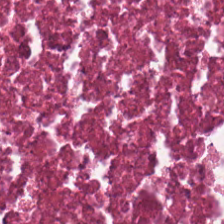Stain: hematoxylin and eosin.
Tissue type: debris.
